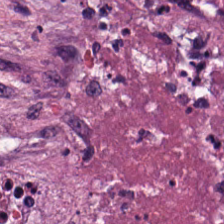Hematoxylin and eosin; 224×224 px tile.
Q: Classify this patch.
A: It is debris.
